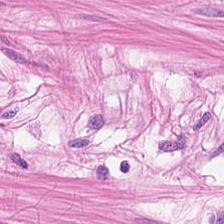Stain: H&E stain.
Acquisition: brightfield.
Preparation: FFPE tissue section.
Tissue: muscularis.
